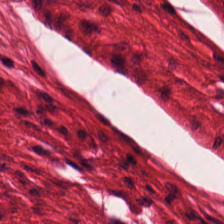Tissue — smooth muscle.
